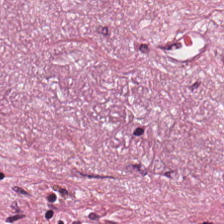Tissue type — desmoplastic stroma.
